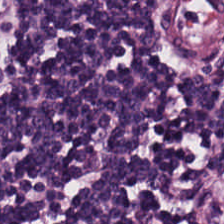H&E stain. FFPE tissue section.
The classification is lymphocytes.
